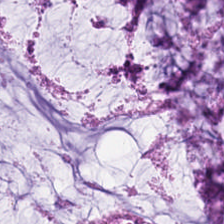H&E-stained tissue section.
{"tissue_type": "extracellular mucin"}
